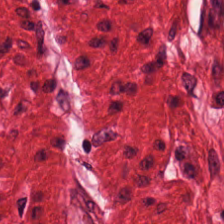H&E-stained tissue section · whole-slide-image patch — Q: What does this patch show?
A: Smooth-muscle tissue.
